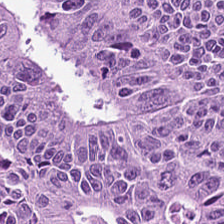Hematoxylin and eosin. Showing colorectal adenocarcinoma epithelium.
